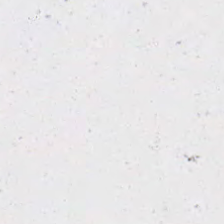H&E-stained tissue section. {"content": "background (no tissue)"}
